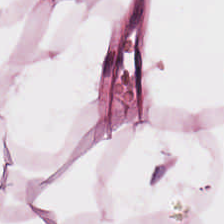Impression → adipose tissue.
